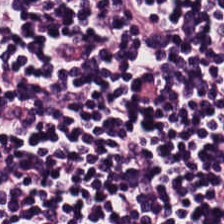H&E. 224×224 pixel tile. Tissue class — lymphoid infiltrate.
